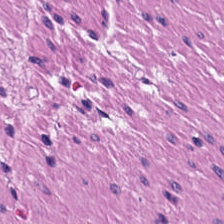H&E — Q: What tissue type is shown here?
A: It is smooth muscle.
